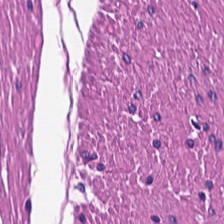Brightfield microscopy. Hematoxylin and eosin.
Tissue class — smooth-muscle tissue.
